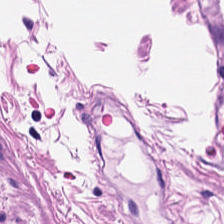FFPE; H&E; 224×224 px tile — Predominantly muscularis.
